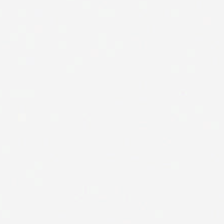H&E. The field content is no tissue.
